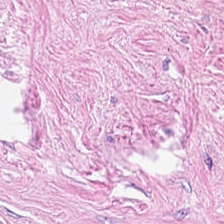Hematoxylin and eosin.
Q: What is shown here?
A: The field shows tumor-associated stroma.
